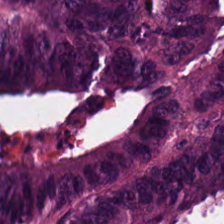Q: What type of tissue is this?
A: It is adenocarcinoma.
